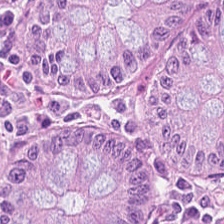0.5 microns per pixel · hematoxylin-and-eosin stained section.
Showing normal colonic mucosa.
